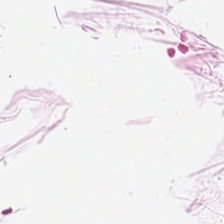Adipose tissue.
